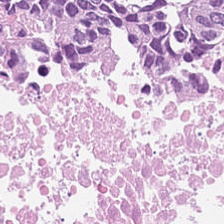0.5 µm/px; H&E stain — Tissue = necrotic debris.
